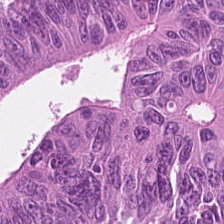Stain: H&E.
Tile size: 224×224 px patch.
Tissue class: tumor epithelium.
